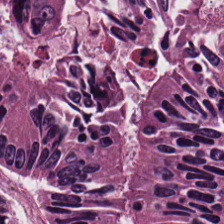FFPE. Hematoxylin and eosin. 20× equivalent magnification.
The tissue class is tumor epithelium.
